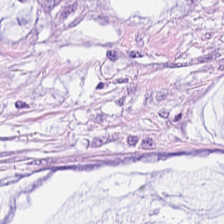Hematoxylin and eosin.
Finding → extracellular mucin.
